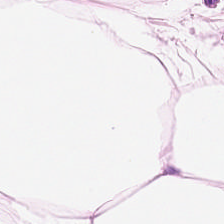H&E stain — Tissue class = adipose.
